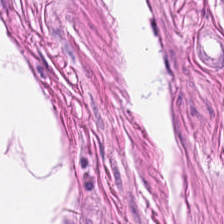Q: Identify the tissue.
A: Muscularis.
